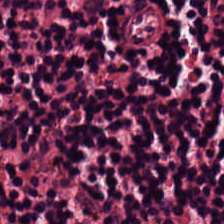This patch shows lymphoid infiltrate.
